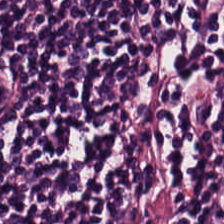FFPE. H&E stain.
{"tissue_type": "lymphocytes"}
